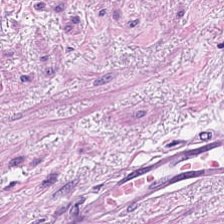Formalin-fixed paraffin-embedded section · hematoxylin-and-eosin stained section — Q: What tissue is shown?
A: Smooth muscle.
